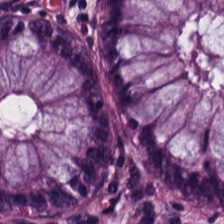Stain: H&E stain.
Acquisition: whole-slide-image patch.
Tissue class: normal colon mucosa.
